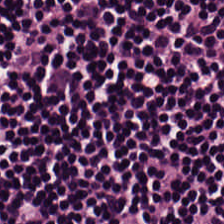224×224 px tile · H&E. Predominant tissue — lymphocytic infiltrate.
